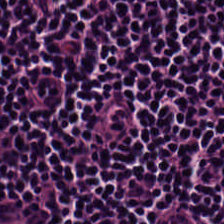H&E — This field is lymphocytes.
